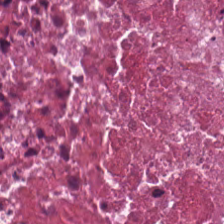Stain: H&E-stained tissue section.
Acquisition: brightfield.
Resolution: 0.5 µm per pixel.
Tissue: necrotic debris.
